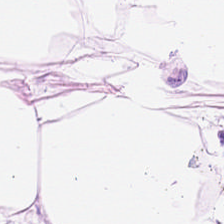Formalin-fixed paraffin-embedded section · H&E stain · 224×224 px tile.
Q: What does this patch show?
A: This is adipose.
